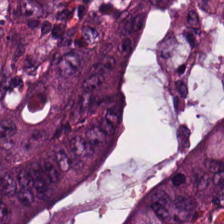H&E stain. Impression — tumor epithelium.
